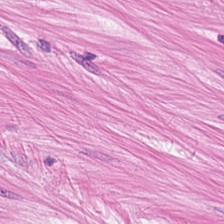Hematoxylin-and-eosin stained section — The tissue class is smooth muscle.
